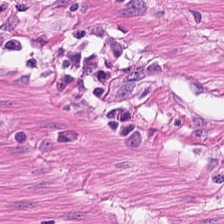Hematoxylin and eosin. 224×224 px tile. Predominantly smooth muscle.
